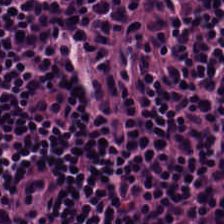H&E. Lymphoid infiltrate.
